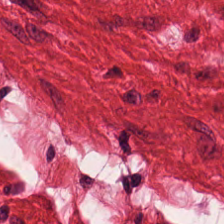Brightfield microscopy. Hematoxylin-and-eosin stained section. Muscularis.
